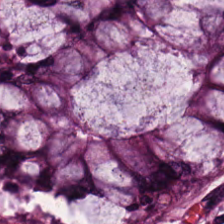H&E.
{"tissue_type": "benign colonic mucosa"}
